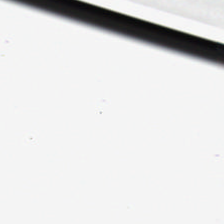Q: What is shown here?
A: This is background (no tissue).
